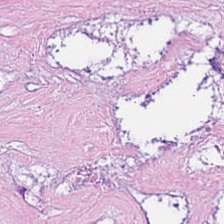FFPE · H&E — Predominantly cellular debris.
